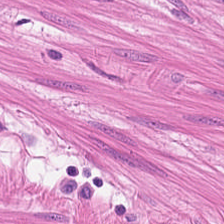0.5 µm/px · H&E stain · 224×224 pixel tile. Predominantly smooth muscle.
